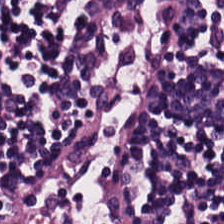Hematoxylin-and-eosin stained section. This field is lymphocyte aggregate.
